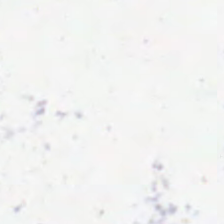Finding — background.
